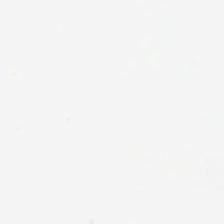20× equivalent magnification; hematoxylin and eosin. This field is background (no tissue).
